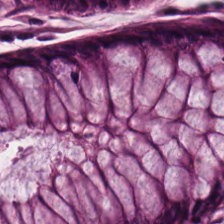20× equivalent magnification · brightfield · H&E.
This field is normal colonic mucosa.
